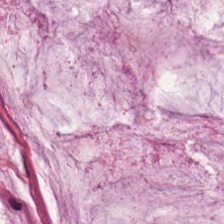Stain: H&E-stained tissue section.
Preparation: FFPE tissue section.
Tissue type: mucin.
